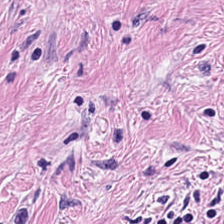Brightfield microscopy; hematoxylin-and-eosin stained section — Q: Classify this patch.
A: Cancer-associated stroma.
